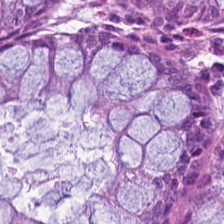Histology → non-neoplastic colon mucosa.
